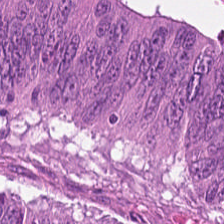H&E-stained section; the field shows tumor epithelium.
